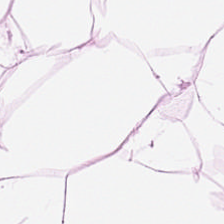H&E stain — Histology → adipose.
